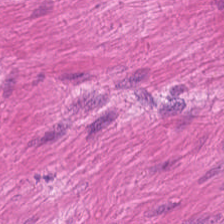H&E stain · brightfield. Q: What is shown in this field?
A: It is muscularis.
